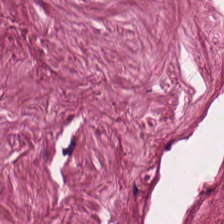Finding — cancer-associated stroma.
